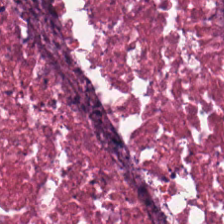H&E — Finding — debris.
